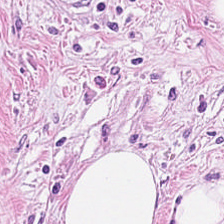Hematoxylin and eosin · 224×224 pixel tile · FFPE tissue section.
This patch shows desmoplastic stroma.
